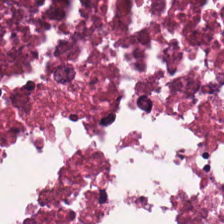Finding — cellular debris.
